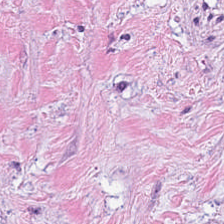The tissue type is tumor-associated stroma.
